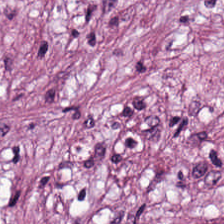H&E-stained tissue section. The tissue here is tumor-associated stroma.
